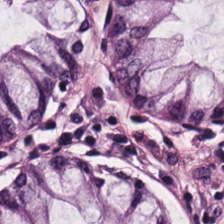H&E-stained tissue section showing benign colonic mucosa.
